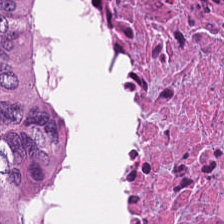Hematoxylin-and-eosin stained section; brightfield.
This field is cellular debris.
